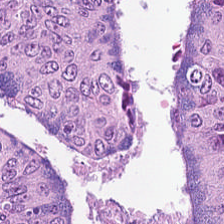Stain: hematoxylin-and-eosin stained section.
Tissue class: malignant epithelium.
